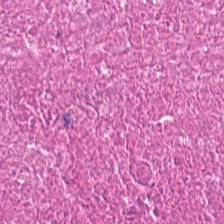Stain: H&E-stained tissue section.
Tissue type: cellular debris.
